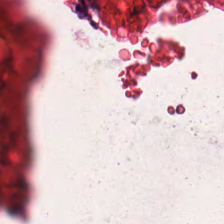H&E stain. 0.5 µm per pixel.
Finding → smooth muscle.
